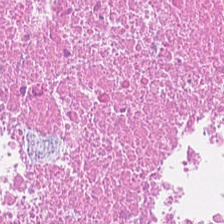H&E-stained tissue section; WSI patch. Classification: cellular debris.
